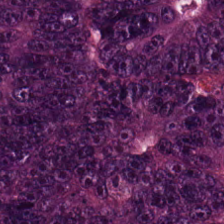H&E patch showing colorectal adenocarcinoma.
